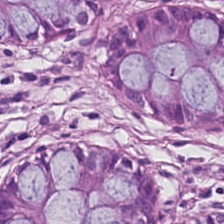Brightfield; FFPE tissue section; hematoxylin and eosin. The predominant tissue is normal colonic mucosa.
